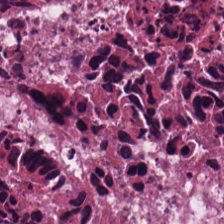H&E stain.
{"tissue_type": "cellular debris"}
